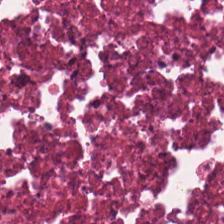H&E-stained tissue section — Q: Identify the tissue.
A: Necrotic debris.
